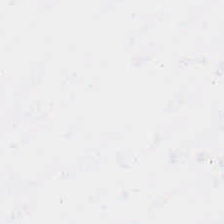H&E stain. Brightfield microscopy. 224×224 px tile — Q: What is shown here?
A: Background (no tissue).
